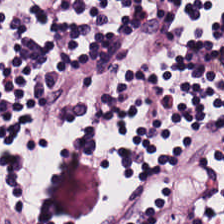H&E — This field is lymphoid infiltrate.
